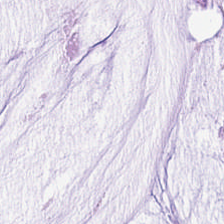Q: What type of tissue is this?
A: The field shows mucus.
